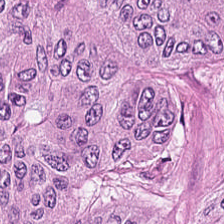Stain: hematoxylin-and-eosin stained section.
Classification: tumor epithelium.
